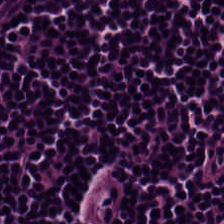Hematoxylin and eosin.
Predominant tissue = lymphoid infiltrate.
